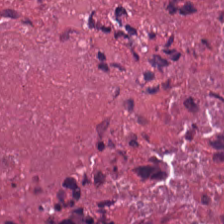Predominant tissue: cellular debris.
